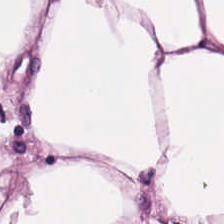The tissue is adipose.
